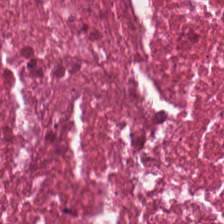224×224 px patch; H&E-stained tissue section. This patch shows cellular debris.
